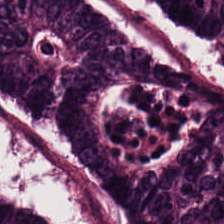Predominantly adenocarcinoma.
